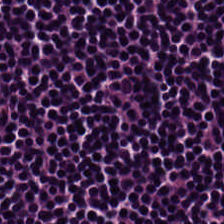224×224 pixel tile · FFPE · hematoxylin-and-eosin stained section.
Q: Identify the tissue.
A: It is lymphoid infiltrate.
